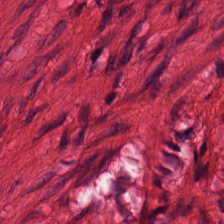Stain: hematoxylin-and-eosin stained section.
Tissue type: smooth-muscle tissue.
